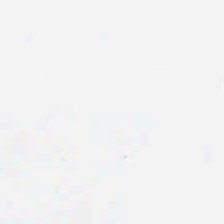H&E-stained tissue section.
Classification — background (no tissue).
